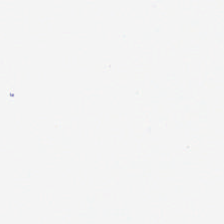H&E-stained tissue section. Background — no tissue in this field.
